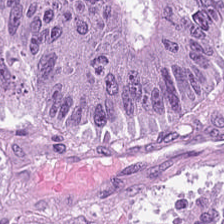H&E-stained tissue section; 224×224 px tile; 0.5 µm/px.
The predominant tissue is colorectal adenocarcinoma.
